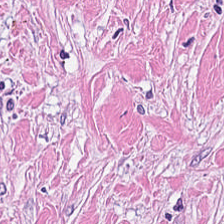H&E-stained tissue section showing desmoplastic stroma.
